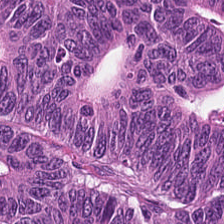H&E · whole-slide-image patch.
Tissue = adenocarcinoma.
